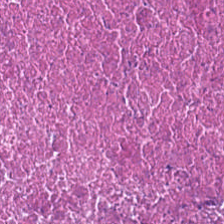WSI patch. Hematoxylin and eosin.
Necrotic debris.
